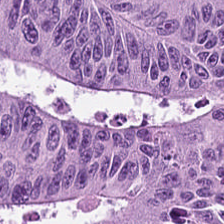Hematoxylin-and-eosin stained section. FFPE. Tissue type = colorectal adenocarcinoma epithelium.
